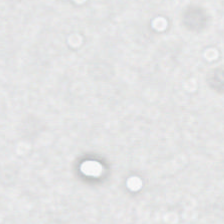Stain: H&E-stained tissue section.
Content: background.
